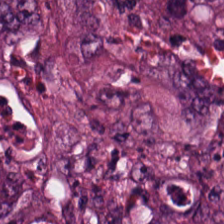Hematoxylin-and-eosin stained section. Brightfield microscopy.
{"tissue_type": "adenocarcinoma"}
